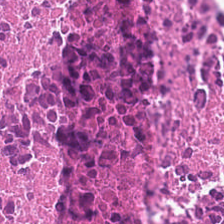H&E stain — Q: What is shown here?
A: This is cellular debris.
